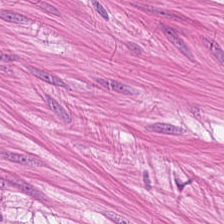Formalin-fixed paraffin-embedded section; hematoxylin-and-eosin stained section.
This patch shows smooth muscle.
